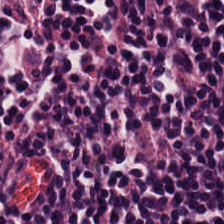Formalin-fixed paraffin-embedded section; 20× equivalent magnification; H&E.
Showing lymphocytic infiltrate.
